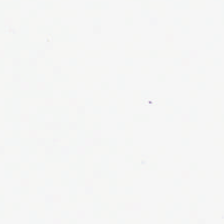This patch shows background (no tissue).
